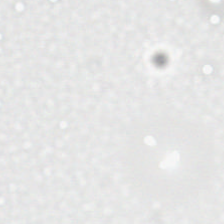224×224 px patch. Hematoxylin-and-eosin stained section — Empty field — empty background.
